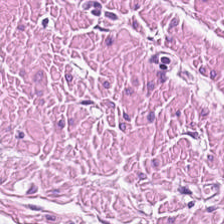H&E-stained tissue section; brightfield.
Predominantly smooth-muscle tissue.
